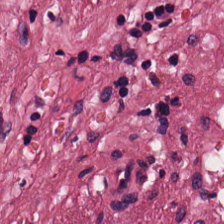Hematoxylin and eosin.
{"tissue_type": "tumor-associated stroma"}
